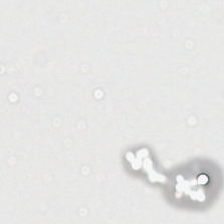Hematoxylin and eosin. Classification — background.
